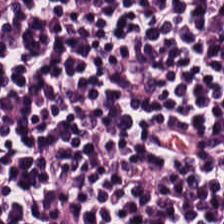The tissue here is lymphocyte aggregate.
